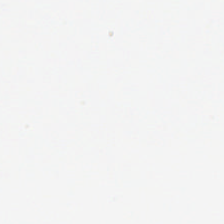H&E · FFPE tissue section — {"content": "background"}
